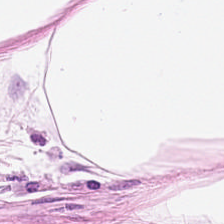Classification: adipose.
